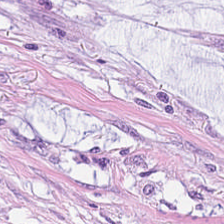H&E.
Histology → extracellular mucin.
